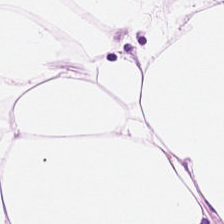Hematoxylin and eosin — Q: What does this patch show?
A: This is adipose tissue.
